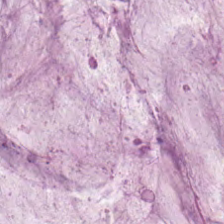Classification = extracellular mucin.
